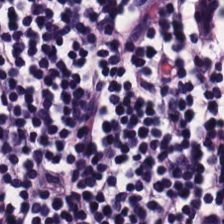Stain: H&E stain.
Tissue: lymphocytes.
